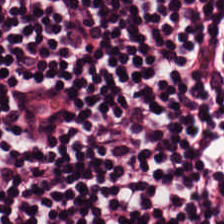H&E-stained tissue section.
Predominantly lymphocyte aggregate.
